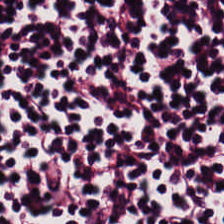H&E. The tissue class is lymphocytes.
